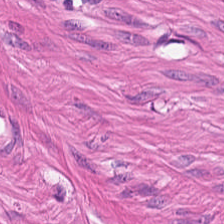H&E — This field is smooth-muscle tissue.
